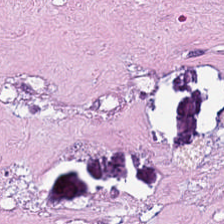Hematoxylin and eosin · FFPE · 224×224 px patch.
Predominant tissue = cellular debris.
